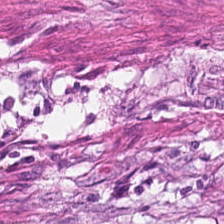20× equivalent magnification; hematoxylin-and-eosin stained section.
The predominant tissue is desmoplastic stroma.
